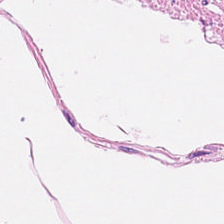The tissue class is smooth muscle.
